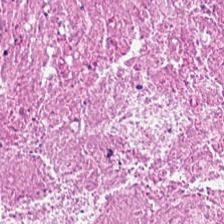H&E stain. Formalin-fixed paraffin-embedded section. 0.5 microns per pixel. This patch shows debris.
